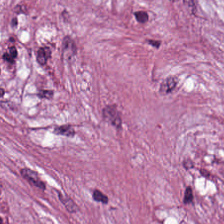FFPE tissue section. H&E-stained tissue section. 20× equivalent magnification. Tumor stroma.
